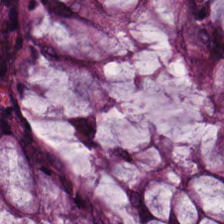Hematoxylin-and-eosin stained section; 224×224 px patch — The predominant tissue is normal colonic mucosa.
